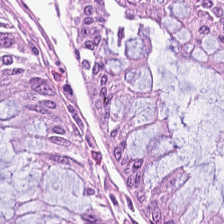FFPE tissue section; hematoxylin and eosin — Tissue type = normal colonic mucosa.
